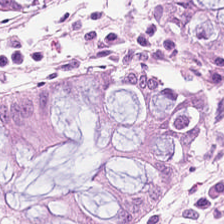Hematoxylin-and-eosin stained section. Showing non-neoplastic colon mucosa.
